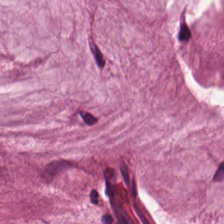Classification = mucus.
